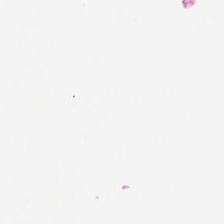H&E-stained tissue section.
Empty field — no tissue.
